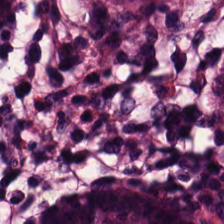Hematoxylin and eosin; formalin-fixed paraffin-embedded section — Q: What type of tissue is this?
A: Non-neoplastic colon mucosa.
